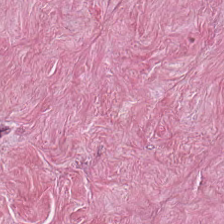Hematoxylin-and-eosin stained section · 0.5 microns per pixel. Histology — cancer-associated stroma.
